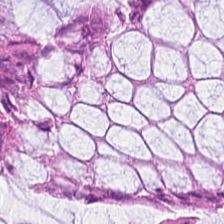FFPE. H&E.
The tissue here is normal colon mucosa.
